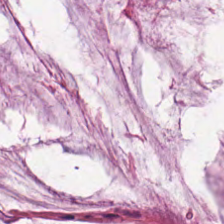H&E. Impression — mucin.
